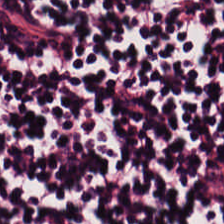H&E. The predominant tissue is lymphocytic infiltrate.
